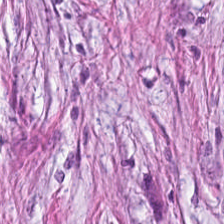H&E.
Tissue — cancer-associated stroma.
